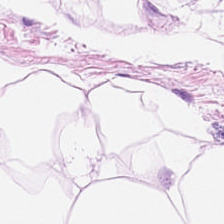This patch shows adipose tissue.
